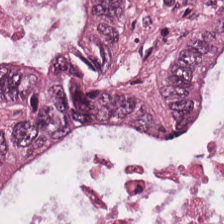Brightfield microscopy. 0.5 µm per pixel. H&E stain. Tissue — adenocarcinoma.
